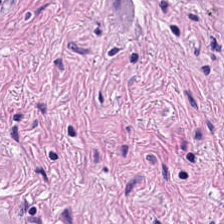Hematoxylin and eosin. FFPE.
This field is smooth-muscle tissue.
